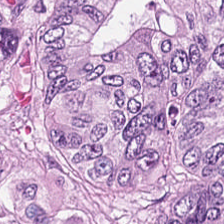H&E. 224×224 px patch.
Q: What tissue type is shown here?
A: This is colorectal adenocarcinoma epithelium.
